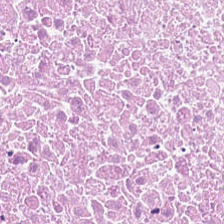Hematoxylin-and-eosin stained section — Q: What is the predominant tissue type?
A: This is cellular debris.
